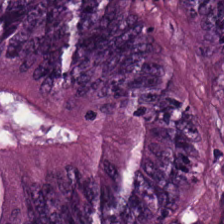The predominant tissue is malignant epithelium.
